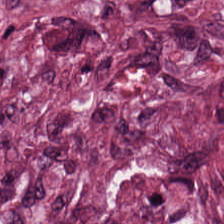This field is cancer-associated stroma.
